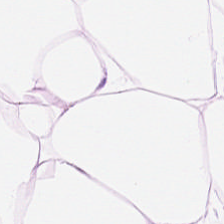H&E; 20× equivalent magnification — This patch shows adipocytes.
